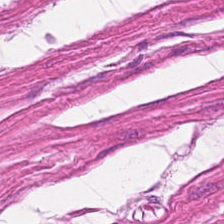Hematoxylin-and-eosin stained section.
The predominant tissue is smooth muscle.
